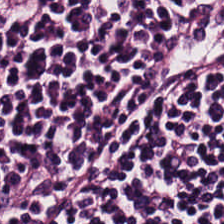H&E-stained tissue section.
The tissue is lymphocytic infiltrate.
